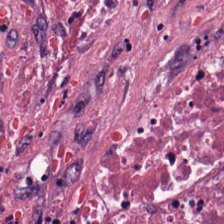224×224 px patch · FFPE tissue section · H&E stain — The tissue here is cellular debris.
